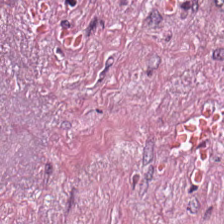H&E stain. Q: Classify this patch.
A: It is tumor stroma.
